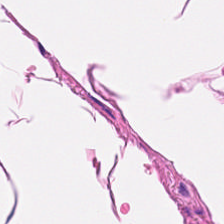Hematoxylin-and-eosin stained section. Formalin-fixed paraffin-embedded section — Showing muscularis.
